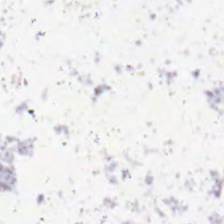H&E stain · FFPE tissue section — Classification = no tissue.
